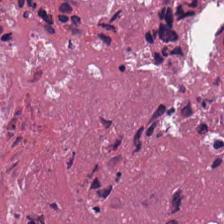FFPE; hematoxylin and eosin; 224×224 pixel tile — Q: Classify this patch.
A: Debris.
